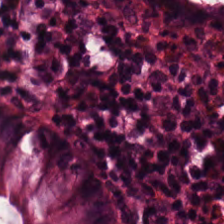H&E-stained tissue section.
Histology → non-neoplastic colon mucosa.
